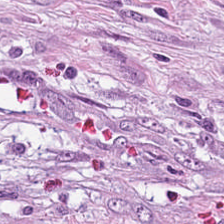Hematoxylin-and-eosin stained section; WSI patch. Q: What is shown here?
A: Desmoplastic stroma.
